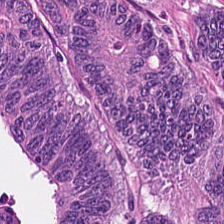FFPE tissue section · H&E stain. Finding — tumor epithelium.
